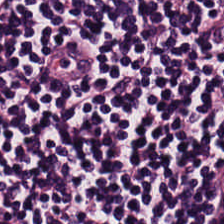H&E.
Tissue class: lymphocytes.
